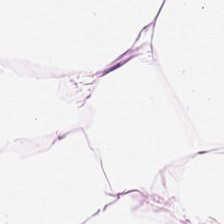Stain: hematoxylin and eosin.
Predominant tissue: adipose.
